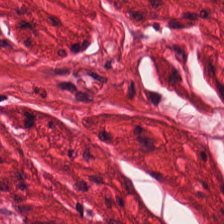Hematoxylin-and-eosin stained section. 224×224 px tile. Tissue — smooth muscle.
